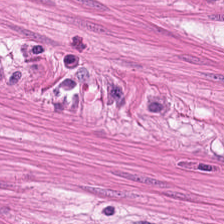H&E stain; whole-slide-image patch — This patch shows smooth-muscle tissue.
